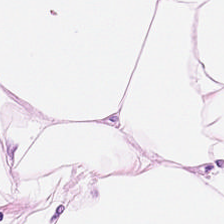H&E stain.
Q: What tissue type is shown here?
A: It is adipocytes.
